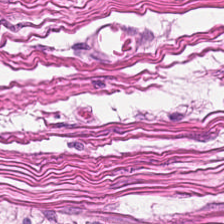Stain: hematoxylin-and-eosin stained section.
Tissue class: smooth-muscle tissue.
